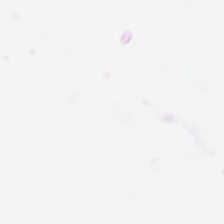No tissue present; background only.
